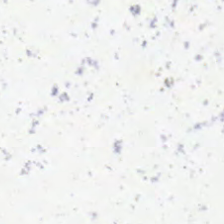0.5 microns per pixel · H&E · 224×224 px patch — Classification — background (no tissue).
